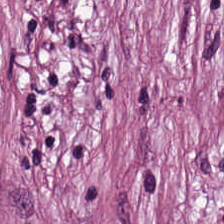Hematoxylin-and-eosin stained section.
Q: What tissue is shown?
A: Tumor stroma.
